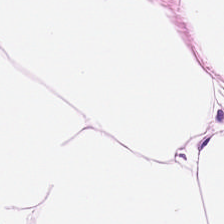Q: Classify this patch.
A: It is fat tissue.
